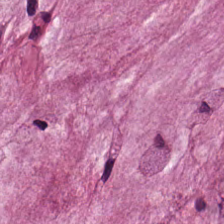20× equivalent magnification. Hematoxylin and eosin. Showing extracellular mucin.
